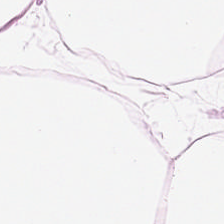Stain: H&E stain.
Predominant tissue: adipose.
